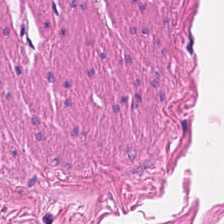H&E-stained tissue section — Q: Classify this patch.
A: This is smooth-muscle tissue.
